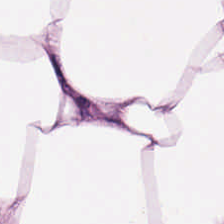224×224 pixel tile · hematoxylin and eosin. Classification: adipose.
